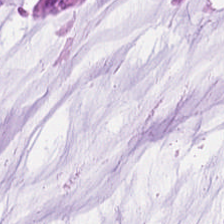FFPE tissue section; H&E-stained tissue section.
Q: What is shown here?
A: The field shows mucin.
